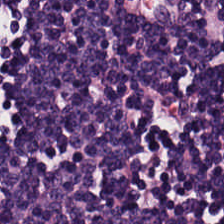Brightfield. H&E-stained tissue section. Tissue = lymphocytic infiltrate.
